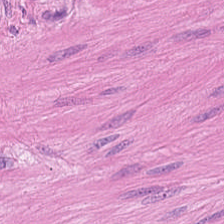FFPE; H&E.
Smooth-muscle tissue.
